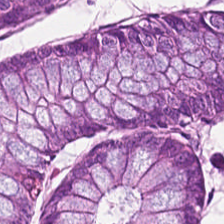H&E-stained tissue section — Tissue type: normal colonic mucosa.
